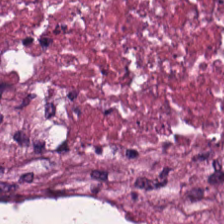Finding — debris.
